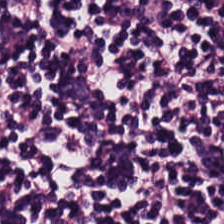Stain: H&E.
Tissue: lymphocytic infiltrate.
